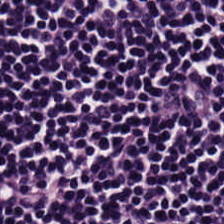H&E-stained tissue section.
This patch shows lymphocytic infiltrate.
